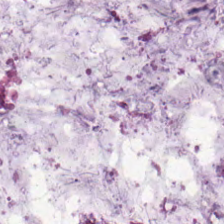Hematoxylin and eosin; 224×224 px patch. Impression → mucin.
